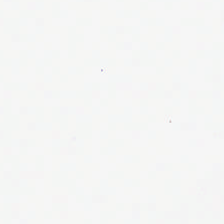Classification — empty background.
